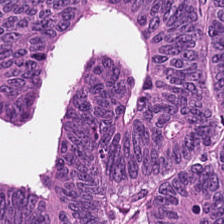H&E-stained tissue section; whole-slide-image patch.
Tumor epithelium.
